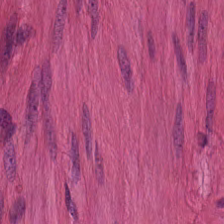Stain: hematoxylin and eosin.
Acquisition: brightfield microscopy.
Tile size: 224×224 px patch.
Tissue: smooth muscle.
